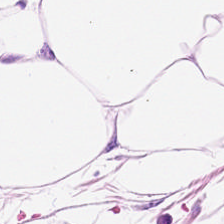Stain: H&E-stained tissue section.
Tile size: 224×224 px patch.
Resolution: 0.5 µm/px.
Predominant tissue: adipose tissue.
